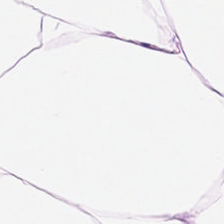224×224 pixel tile. Hematoxylin and eosin — This patch shows fat tissue.
